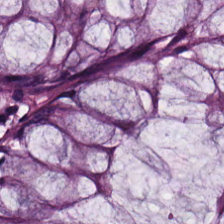The tissue here is non-neoplastic colon mucosa.
